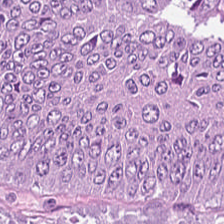Hematoxylin-and-eosin stained section.
Tissue class = colorectal adenocarcinoma epithelium.
